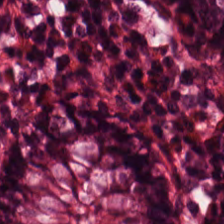Formalin-fixed paraffin-embedded section; H&E. The tissue here is benign colonic mucosa.
